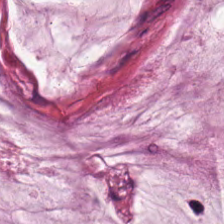Stain: H&E stain.
Resolution: 0.5 µm per pixel.
Acquisition: whole-slide-image patch.
Tissue type: extracellular mucin.
